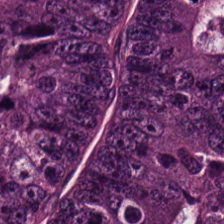224×224 px tile · H&E · FFPE. This field is tumor epithelium.
